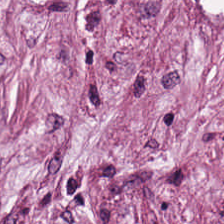Hematoxylin and eosin — Tissue class: tumor stroma.
